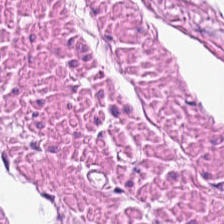Stain: H&E stain.
Tissue: smooth muscle.
